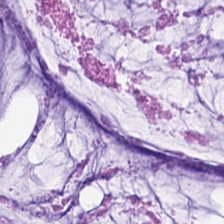H&E — Classification = mucin.
